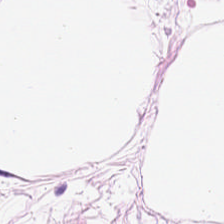Hematoxylin-and-eosin stained section. This field is fat tissue.
